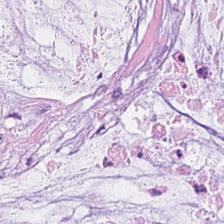Stain: H&E-stained tissue section.
Tissue type: mucin.
